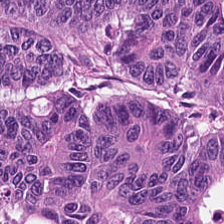Q: What is shown here?
A: This is tumor epithelium.
